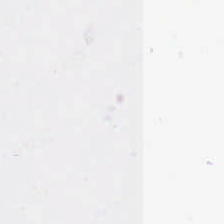Classification — no tissue.
